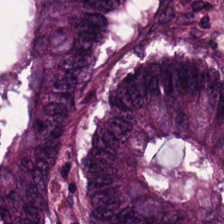Hematoxylin-and-eosin stained section. Showing colorectal adenocarcinoma.
